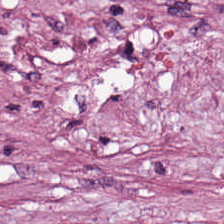Hematoxylin-and-eosin stained section. The tissue is cancer-associated stroma.
